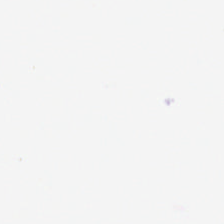Content — no tissue.
